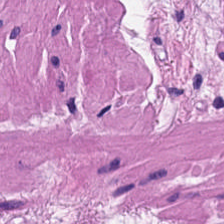0.5 microns per pixel; H&E; whole-slide-image patch — Muscularis.
